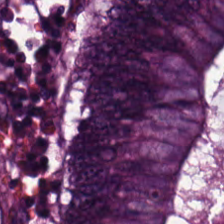H&E-stained tissue section · 0.5 µm per pixel. The tissue here is colorectal adenocarcinoma.
